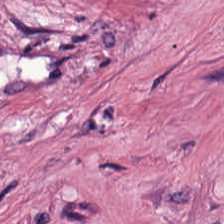H&E stain.
Q: What type of tissue is this?
A: Cancer-associated stroma.
